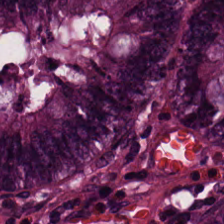Hematoxylin-and-eosin stained section — The predominant tissue is normal colonic mucosa.
